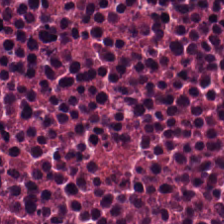Stain: hematoxylin and eosin.
Classification: necrotic debris.
